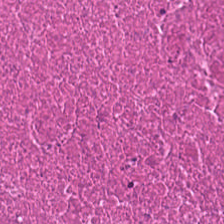FFPE. 224×224 px patch. Hematoxylin-and-eosin stained section. Impression → necrotic debris.
